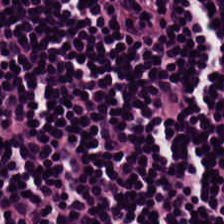Hematoxylin and eosin — The tissue is lymphocytic infiltrate.
